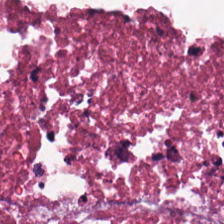H&E. Cellular debris.
